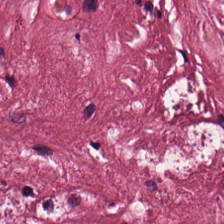Impression → cancer-associated stroma.
